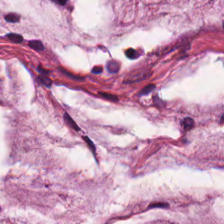H&E-stained tissue section. Q: What type of tissue is this?
A: Mucin.
